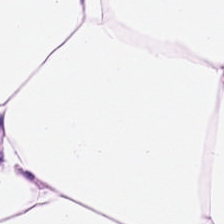Hematoxylin and eosin.
Showing fat tissue.
